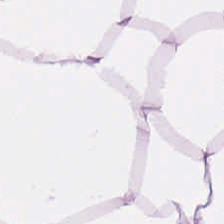H&E stain.
Tissue: fat tissue.
